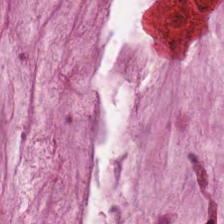Hematoxylin-and-eosin stained section.
The predominant tissue is mucus.
